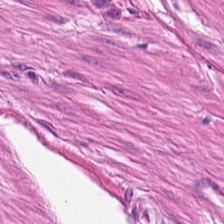The tissue here is smooth muscle.
